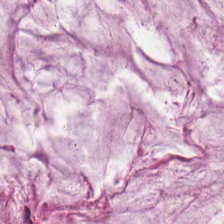H&E — The tissue here is mucin.
